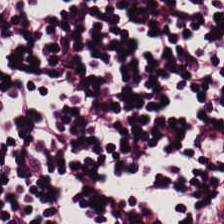20× equivalent magnification. Hematoxylin-and-eosin stained section — Classification = lymphocyte aggregate.
